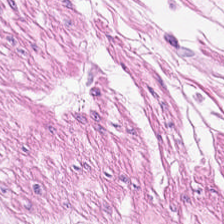Histology — muscularis.
